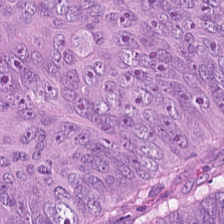This field is adenocarcinoma.
